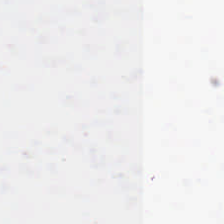This field is background (no tissue).
